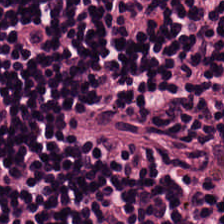H&E stain — Classification = lymphocytes.
